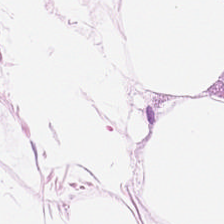H&E-stained tissue section. Q: What is shown here?
A: The field shows adipose tissue.
